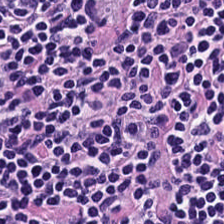H&E — {"tissue_type": "lymphocyte aggregate"}
